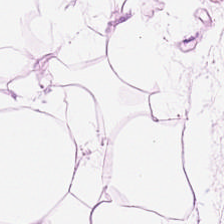224×224 px tile · hematoxylin and eosin.
Tissue = adipose.
